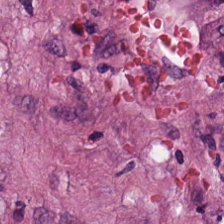Q: What does this patch show?
A: This is tumor-associated stroma.
